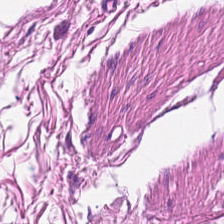Q: What does this patch show?
A: It is muscularis.
